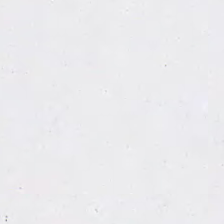Hematoxylin-and-eosin stained section — The field content is no tissue.
